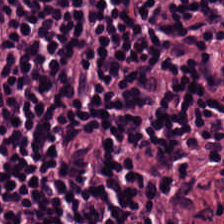224×224 px patch. H&E stain. FFPE tissue section — Lymphocytes.
